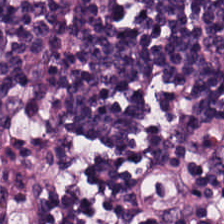Brightfield; H&E stain — The tissue is lymphocytic infiltrate.
